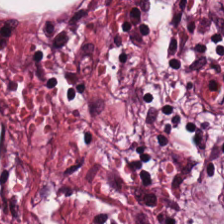Whole-slide-image patch; H&E-stained tissue section. Q: Classify this patch.
A: This is desmoplastic stroma.
